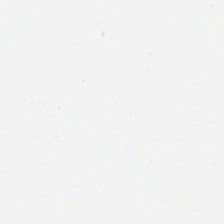This patch shows empty background.
